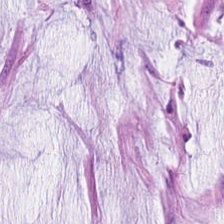H&E; 0.5 microns per pixel — Q: What type of tissue is this?
A: Extracellular mucin.
